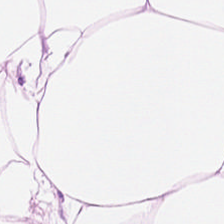224×224 pixel tile; H&E. This field is adipose.
